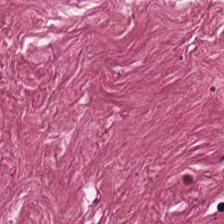0.5 µm/px · 224×224 px tile · H&E. Q: What tissue type is shown here?
A: The field shows tumor stroma.
